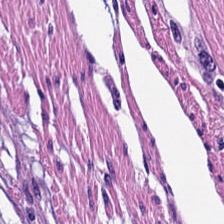FFPE tissue section · hematoxylin and eosin — This field is smooth muscle.
